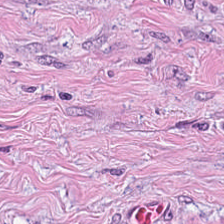Hematoxylin-and-eosin stained section; FFPE tissue section — The predominant tissue is tumor-associated stroma.
